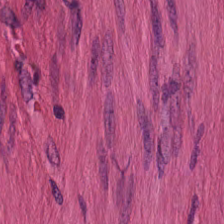Q: What is shown in this field?
A: This is muscularis.
